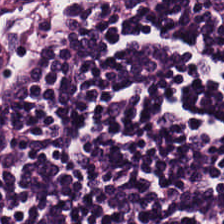Hematoxylin-and-eosin stained section — Impression → lymphocytic infiltrate.
